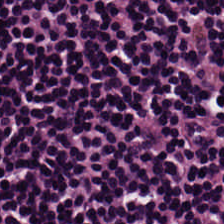H&E stain; 20× equivalent magnification — Q: What is shown in this field?
A: This is lymphocytes.
